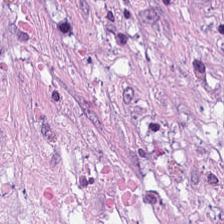Classification: desmoplastic stroma.
